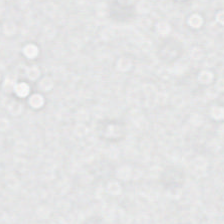Stain: hematoxylin-and-eosin stained section.
Acquisition: whole-slide-image patch.
Classification: background.
